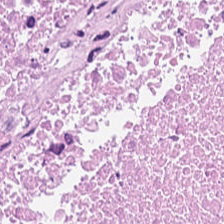224×224 px patch; whole-slide-image patch; H&E stain — The classification is debris.
